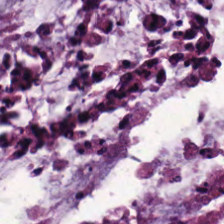{"tissue_type": "mucus"}
